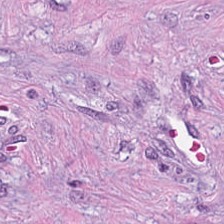224×224 px patch; H&E stain. This patch shows cancer-associated stroma.
